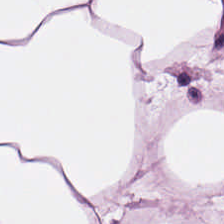H&E stain. This patch shows adipose tissue.
